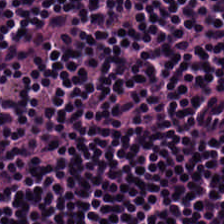Hematoxylin and eosin. Classification = lymphocytic infiltrate.
